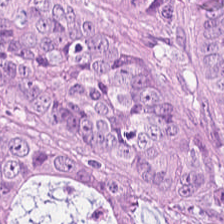224×224 px patch. Hematoxylin-and-eosin stained section. Brightfield microscopy. The predominant tissue is adenocarcinoma.
